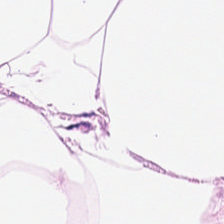Hematoxylin-and-eosin stained section.
The tissue here is adipocytes.
